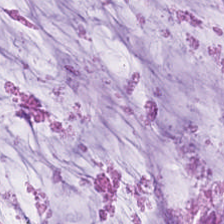H&E. Q: What is the predominant tissue type?
A: The field shows mucus.
